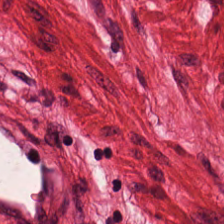H&E. Formalin-fixed paraffin-embedded section — This field is smooth-muscle tissue.
